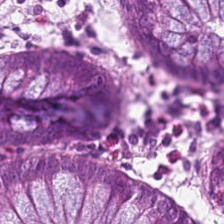Stain: H&E-stained tissue section.
Tissue class: normal colon mucosa.
